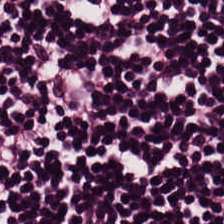Stain: hematoxylin and eosin.
Tissue class: lymphoid infiltrate.
